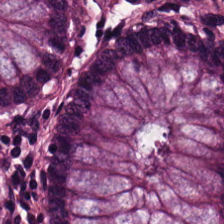FFPE tissue section · brightfield · H&E-stained tissue section — {"tissue_type": "benign colonic mucosa"}
